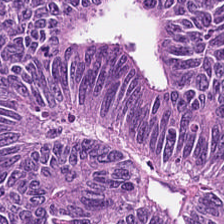Tissue class — tumor epithelium.
